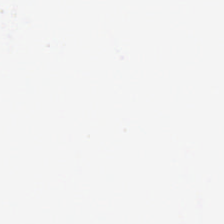Hematoxylin-and-eosin stained section — The classification is no tissue.
